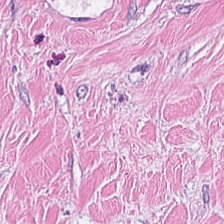FFPE; H&E-stained tissue section — The predominant tissue is tumor-associated stroma.
